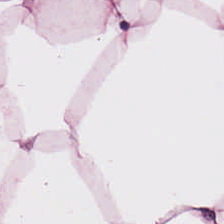H&E stain — This field is adipose tissue.
